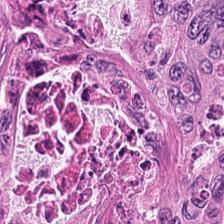20× equivalent magnification; H&E stain.
Q: What tissue is shown?
A: It is adenocarcinoma.
